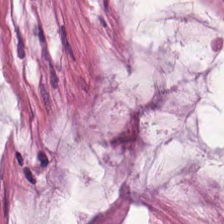Histology — mucin.
